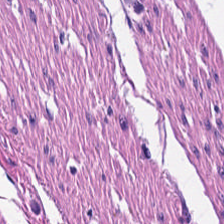H&E; 224×224 px tile. Q: Identify the tissue.
A: Smooth muscle.
